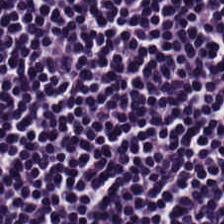H&E stain — This patch shows lymphocyte aggregate.
